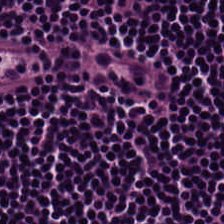224×224 pixel tile; H&E-stained tissue section — Histology → lymphoid infiltrate.
